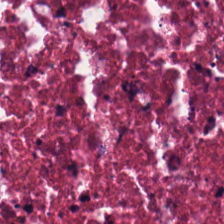H&E.
Q: Identify the tissue.
A: The field shows debris.
